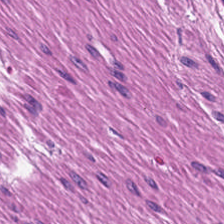Brightfield microscopy. H&E stain — Q: What is the predominant tissue type?
A: Muscularis.
